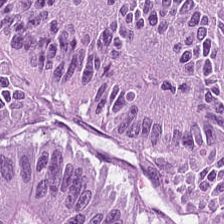Hematoxylin-and-eosin stained section. This field is colorectal adenocarcinoma.
